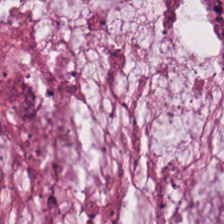Predominant tissue: mucin.
